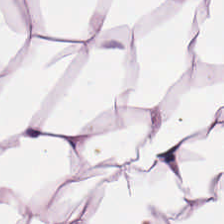0.5 µm per pixel · H&E — Impression → adipocytes.
